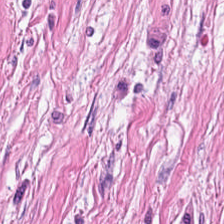Hematoxylin and eosin.
Tissue type — cancer-associated stroma.
